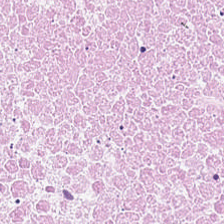20× equivalent magnification · hematoxylin-and-eosin stained section.
This field is debris.
